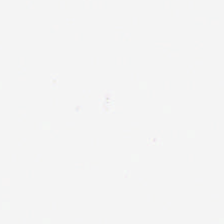H&E; FFPE.
No tissue present; background only.
